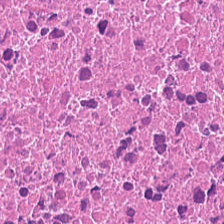H&E — debris.
